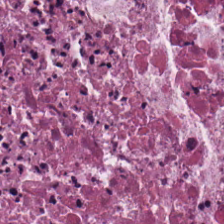Stain: H&E-stained tissue section.
Tissue type: cellular debris.
